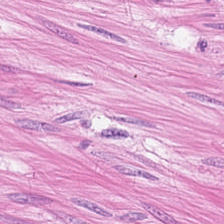Stain: H&E stain.
Tile size: 224×224 pixel tile.
Tissue: smooth-muscle tissue.
